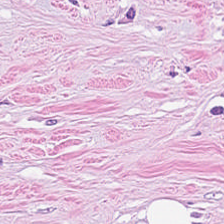H&E stain — {"tissue_type": "cancer-associated stroma"}
